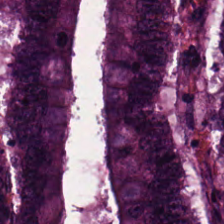H&E-stained tissue section. Tissue = malignant epithelium.
